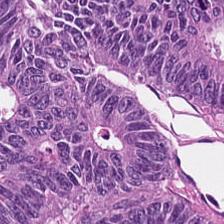224×224 px patch; brightfield; hematoxylin-and-eosin stained section — Predominantly colorectal adenocarcinoma epithelium.
